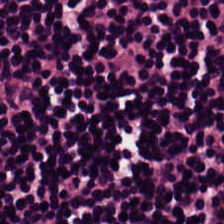H&E stain. The predominant tissue is lymphocytes.
